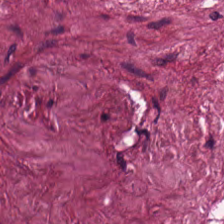The predominant tissue is tumor stroma.
